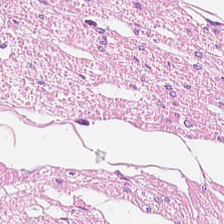H&E-stained tissue section; 224×224 pixel tile. Classification: muscularis.
